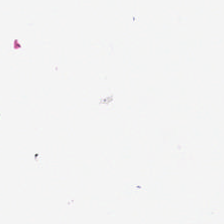Stain: H&E-stained tissue section.
Classification: background.
